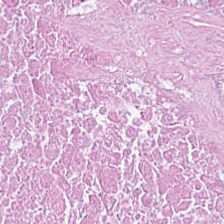Stain: H&E.
Tile size: 224×224 px patch.
Classification: debris.
